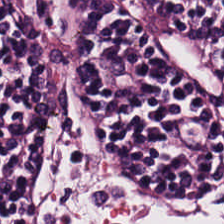WSI patch. H&E — Histology — lymphocytic infiltrate.
